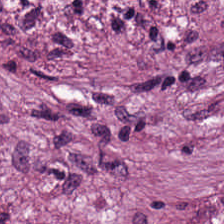H&E.
Classification — cancer-associated stroma.
